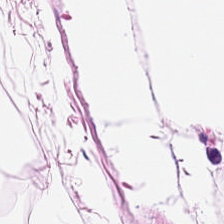Hematoxylin and eosin. Adipocytes.
